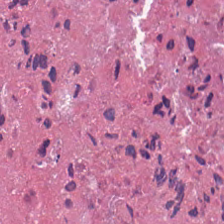H&E patch showing necrotic debris.
